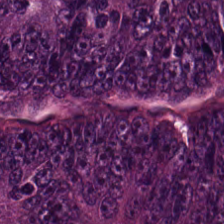224×224 pixel tile · hematoxylin-and-eosin stained section.
Q: What is shown in this field?
A: The field shows tumor epithelium.
